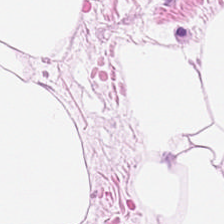Tissue — fat tissue.
